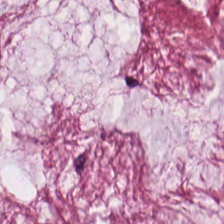H&E-stained tissue section. Finding — mucin.
